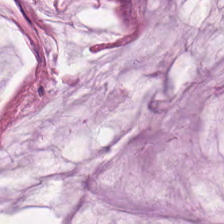Mucin.
